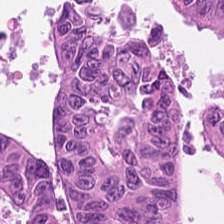WSI patch · hematoxylin and eosin — Showing colorectal adenocarcinoma.
